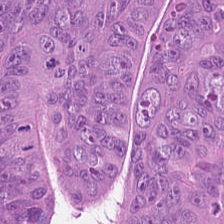H&E stain. Q: What type of tissue is this?
A: Malignant epithelium.
